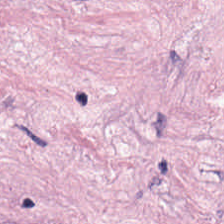FFPE tissue section; hematoxylin-and-eosin stained section; whole-slide-image patch — {"tissue_type": "tumor stroma"}
